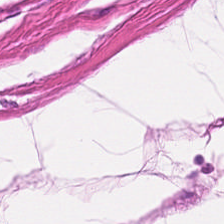Q: Classify this patch.
A: The field shows smooth muscle.
